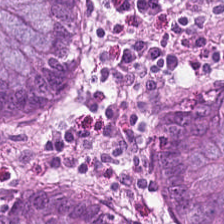Hematoxylin and eosin.
Non-neoplastic colon mucosa.
